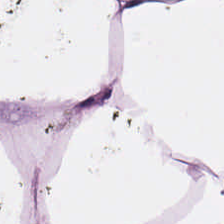Impression → adipose tissue.
